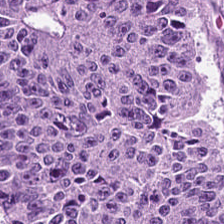H&E — Colorectal adenocarcinoma epithelium.
